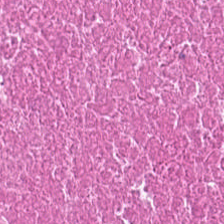Hematoxylin-and-eosin stained section — Q: What is shown here?
A: Necrotic debris.
